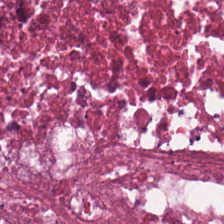Hematoxylin-and-eosin stained section — Q: What is shown here?
A: It is debris.
